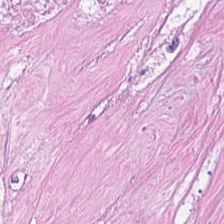H&E stain — Showing debris.
